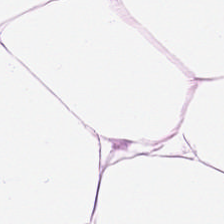Brightfield; H&E.
Q: What is shown here?
A: It is adipose tissue.
